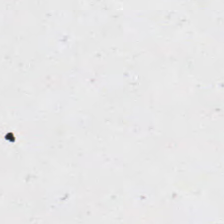H&E-stained tissue section · 224×224 px tile.
This field is background (no tissue).
